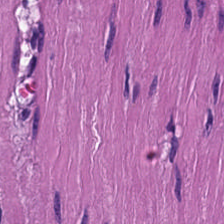H&E stain. Predominantly smooth-muscle tissue.
